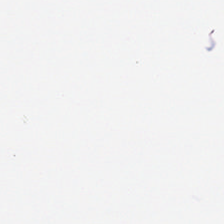H&E-stained tissue section. No tissue present; background only.
